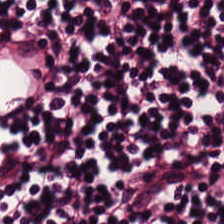{"tissue_type": "lymphocyte aggregate"}
